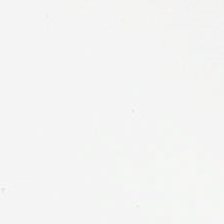0.5 microns per pixel · hematoxylin-and-eosin stained section — This field is background (no tissue).
